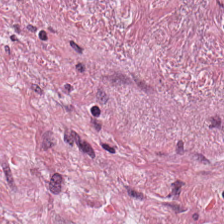Stain: H&E-stained tissue section.
Acquisition: whole-slide-image patch.
Tissue: desmoplastic stroma.
